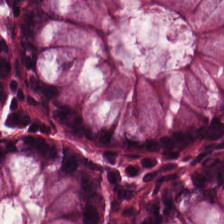Hematoxylin-and-eosin stained section · FFPE tissue section · WSI patch.
Non-neoplastic colon mucosa.
